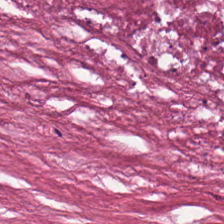Formalin-fixed paraffin-embedded section · H&E-stained tissue section · 0.5 microns per pixel. Q: What is shown here?
A: This is cellular debris.
